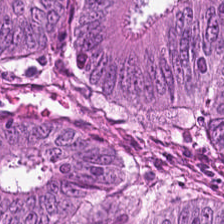Hematoxylin and eosin — The predominant tissue is malignant epithelium.
